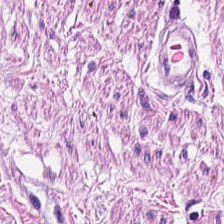H&E stain.
This field is smooth-muscle tissue.
